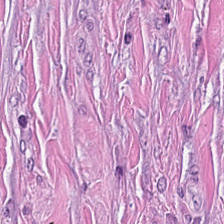H&E.
Tumor-associated stroma.
